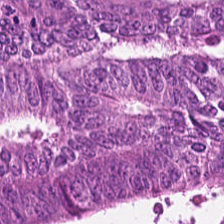224×224 px tile; formalin-fixed paraffin-embedded section; H&E. Q: Identify the tissue.
A: This is malignant epithelium.
